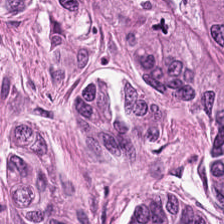H&E.
Tissue type — tumor epithelium.
